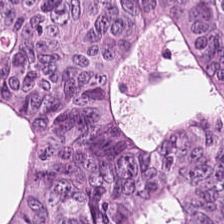0.5 µm/px. H&E-stained tissue section. 224×224 pixel tile. Impression → adenocarcinoma.
